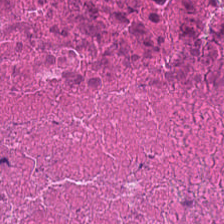Tissue — cellular debris.
